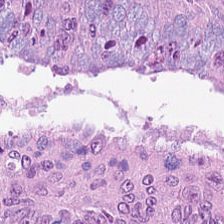Hematoxylin-and-eosin stained section · 224×224 px patch — Tissue type: adenocarcinoma.
